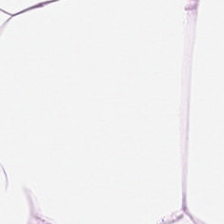H&E stain.
This field is adipose tissue.
